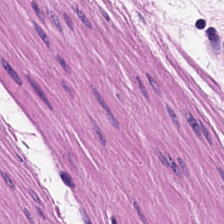H&E stain.
Tissue type — muscularis.
